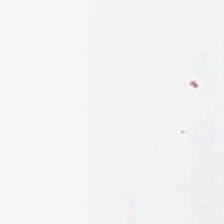Hematoxylin and eosin.
{"content": "empty background"}
